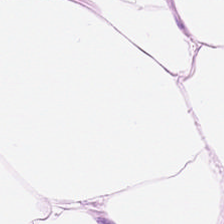Hematoxylin-and-eosin section: adipose.
